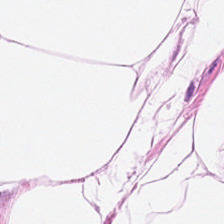Showing adipose.
